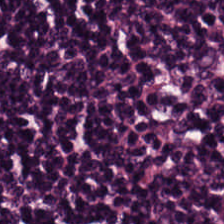H&E-stained tissue section; 224×224 px tile.
Predominantly lymphocyte aggregate.
